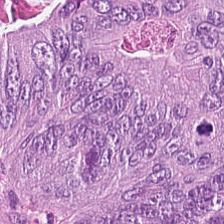Tissue class — colorectal adenocarcinoma.
